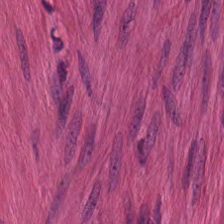Hematoxylin and eosin; 20× equivalent magnification; 224×224 px patch. Predominant tissue — smooth muscle.
